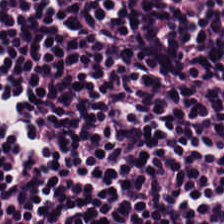0.5 µm per pixel; brightfield; H&E — Tissue class = lymphocyte aggregate.
